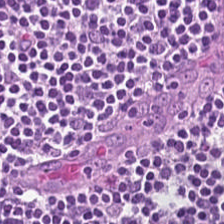H&E-stained tissue section. Q: Classify this patch.
A: This is lymphocyte aggregate.
